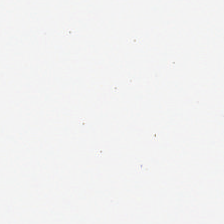Hematoxylin-and-eosin stained section · brightfield — This patch shows empty background.
